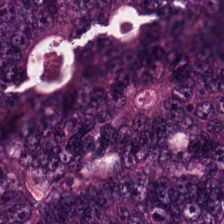H&E stain. WSI patch — Q: What tissue type is shown here?
A: Colorectal adenocarcinoma.
